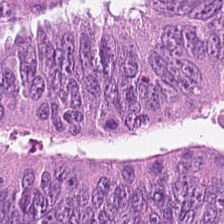224×224 px patch; hematoxylin-and-eosin stained section. This patch shows colorectal adenocarcinoma.
